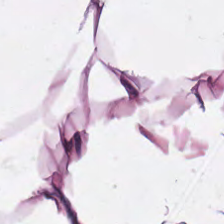Hematoxylin-and-eosin stained section.
This patch shows adipose.
